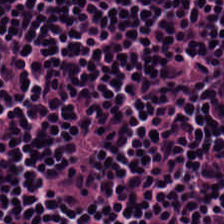H&E stain — Showing lymphocytes.
